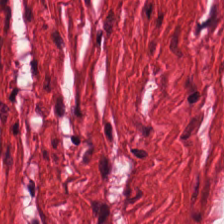Hematoxylin-and-eosin section: smooth-muscle tissue.
